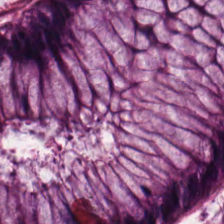Tissue = normal colon mucosa.
